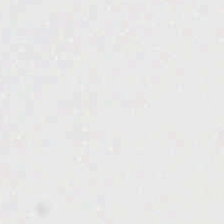Empty field — empty background.
